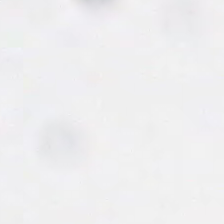Hematoxylin-and-eosin stained section. {"content": "empty background"}
